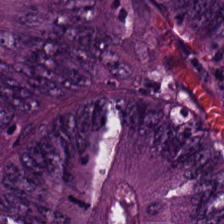WSI patch; H&E-stained tissue section; 0.5 µm per pixel.
Predominantly adenocarcinoma.
